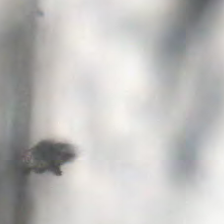H&E stain.
Q: Classify this patch.
A: The field shows background.
